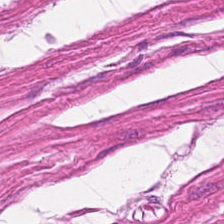0.5 microns per pixel; 224×224 pixel tile; H&E-stained tissue section — Tissue type: smooth-muscle tissue.
